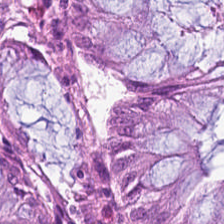Hematoxylin-and-eosin stained section — Predominantly benign colonic mucosa.
